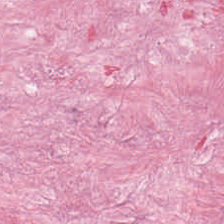Hematoxylin-and-eosin stained section. Q: What tissue type is shown here?
A: Tumor stroma.
